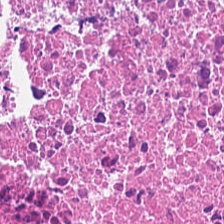Stain: H&E.
Tissue class: cellular debris.
